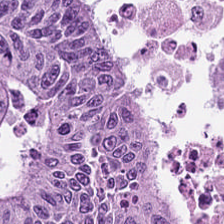H&E-stained tissue section — {"tissue_type": "malignant epithelium"}
